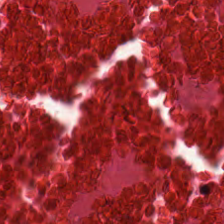Stain: H&E stain.
Resolution: 0.5 µm per pixel.
Acquisition: brightfield microscopy.
Tissue type: cellular debris.
